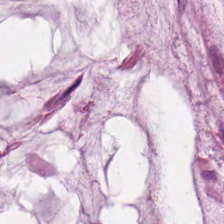H&E. 224×224 px patch.
Q: What tissue type is shown here?
A: This is mucus.
